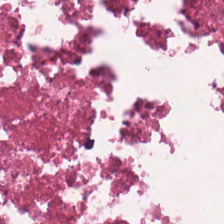Hematoxylin-and-eosin stained section.
Histology → debris.
